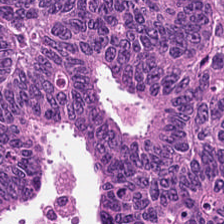The tissue here is adenocarcinoma.
